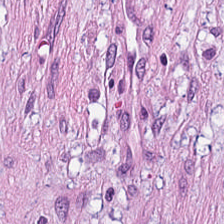Hematoxylin-and-eosin stained section. WSI patch. 0.5 microns per pixel. Histology → tumor stroma.
